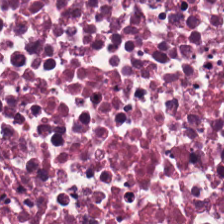H&E stain — Histology — debris.
